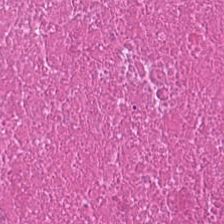H&E; 224×224 pixel tile; 0.5 microns per pixel.
Classification — cellular debris.
